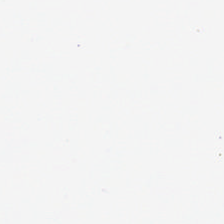Hematoxylin-and-eosin stained section — {"content": "background (no tissue)"}
